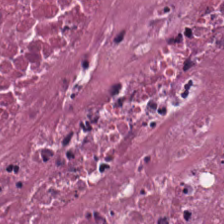WSI patch · hematoxylin and eosin. {"tissue_type": "necrotic debris"}
